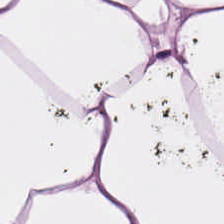H&E. Impression → adipose.
